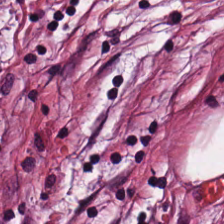Hematoxylin-and-eosin stained section. Q: Identify the tissue.
A: Cancer-associated stroma.
